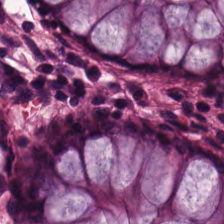H&E stain; 224×224 px tile.
Predominantly normal colonic mucosa.
